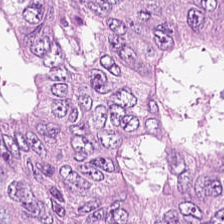Predominantly colorectal adenocarcinoma.
